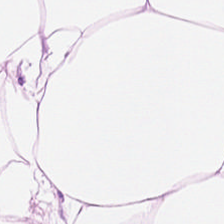H&E stain · FFPE · brightfield microscopy.
Showing adipocytes.
